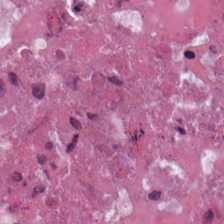0.5 microns per pixel. 224×224 px tile. Hematoxylin and eosin. Cellular debris.
